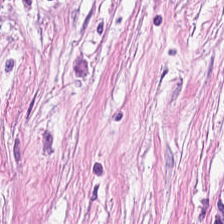H&E stain.
Tissue — desmoplastic stroma.
